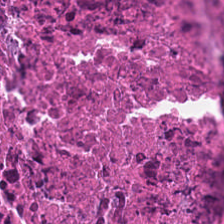H&E stain — The tissue here is debris.
